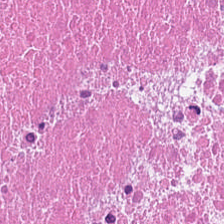Hematoxylin-and-eosin stained section. This patch shows debris.
